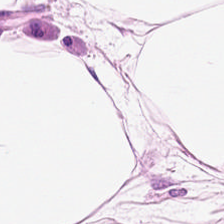Hematoxylin and eosin.
Q: What is shown in this field?
A: It is fat tissue.
